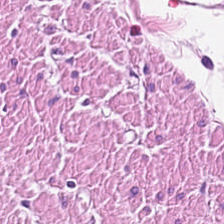Q: Classify this patch.
A: This is muscularis.
